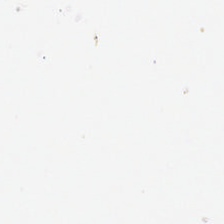224×224 px tile. H&E stain. Classification — background (no tissue).
